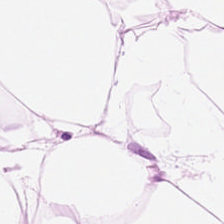0.5 µm per pixel · H&E-stained tissue section · formalin-fixed paraffin-embedded section.
Adipose.
